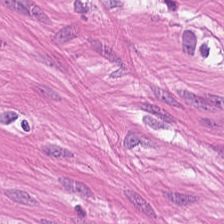Hematoxylin-and-eosin stained section. Brightfield microscopy.
Predominant tissue: smooth muscle.
